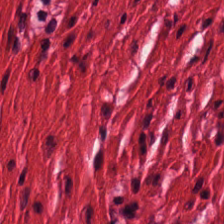FFPE · hematoxylin-and-eosin stained section.
Smooth-muscle tissue.
